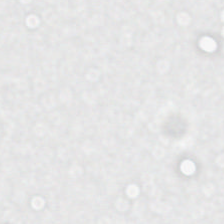0.5 µm/px. Hematoxylin and eosin — Q: Classify this patch.
A: The field shows background (no tissue).
